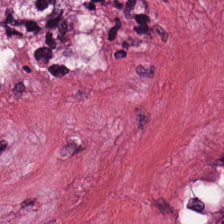H&E.
Showing tumor stroma.
